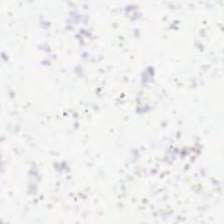This field is background (no tissue).
